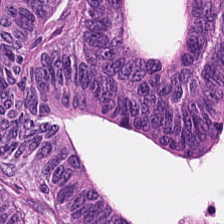H&E stain · 0.5 microns per pixel · 224×224 px patch — The predominant tissue is colorectal adenocarcinoma epithelium.
